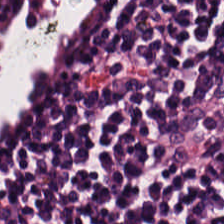H&E — lymphocytic infiltrate.
